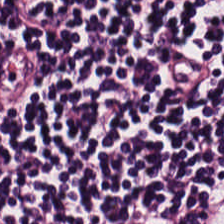H&E — Q: What tissue is shown?
A: It is lymphocytic infiltrate.
